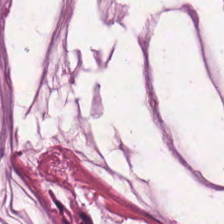Tissue — mucus.
